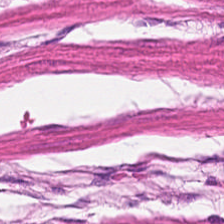H&E stain — Tissue class: smooth-muscle tissue.
